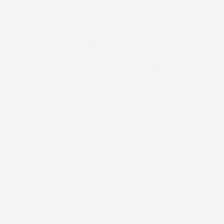Histology → background.
